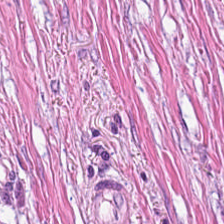Tissue = desmoplastic stroma.
